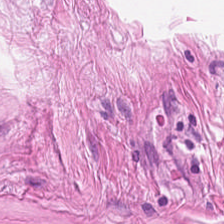H&E · 224×224 pixel tile. This patch shows muscularis.
